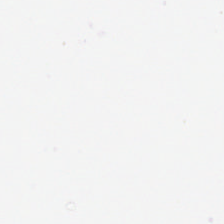H&E-stained tissue section · 224×224 px tile — Finding — background (no tissue).
